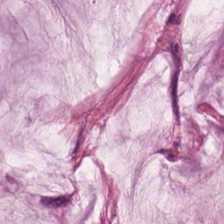H&E. Q: What does this patch show?
A: Extracellular mucin.
